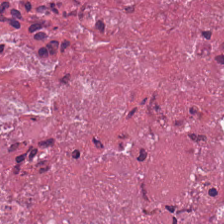H&E stain.
Predominantly necrotic debris.
